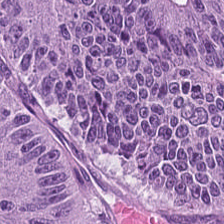H&E stain. Showing adenocarcinoma.
